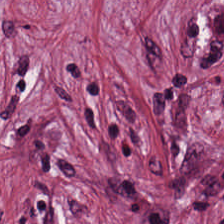Brightfield · hematoxylin-and-eosin stained section. Tumor stroma.
